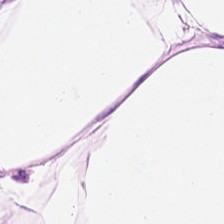224×224 px patch · hematoxylin and eosin. Classification: adipose.
